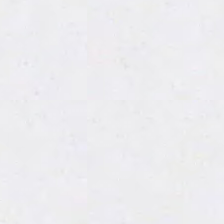No tissue present; background only.
